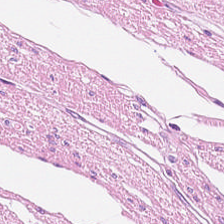H&E — The tissue here is muscularis.
